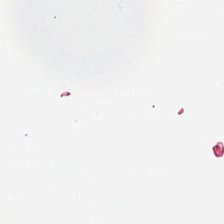Brightfield; H&E stain; FFPE tissue section — Impression → no tissue.
